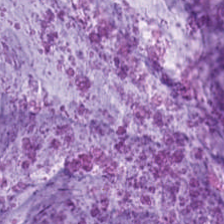Stain: H&E stain.
Tissue class: mucus.
